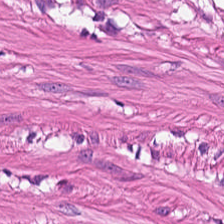Hematoxylin and eosin; 20× equivalent magnification. Tissue class = muscularis.
